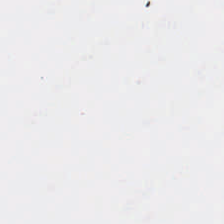H&E. Background (no tissue).
